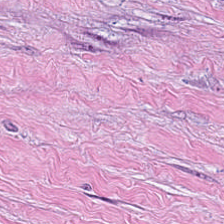Tissue type: tumor-associated stroma.
